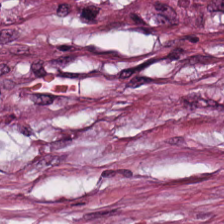Formalin-fixed paraffin-embedded section · hematoxylin and eosin. Histology → desmoplastic stroma.
